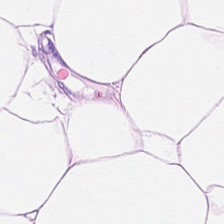H&E stain.
This patch shows adipose tissue.
